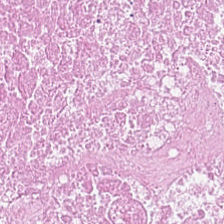Hematoxylin and eosin.
Q: What tissue type is shown here?
A: The field shows cellular debris.
